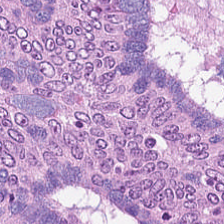Hematoxylin-and-eosin stained section. This patch shows colorectal adenocarcinoma.
